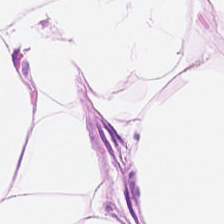Hematoxylin-and-eosin stained section.
This patch shows adipose tissue.
